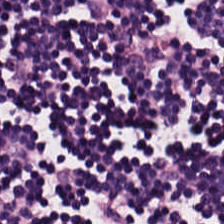H&E-stained tissue section.
Showing lymphoid infiltrate.
